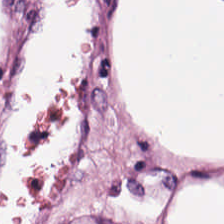This patch shows adipocytes.
